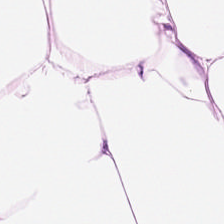H&E-stained section; the field shows adipose tissue.
